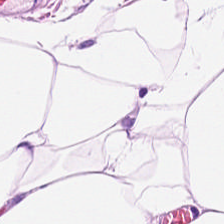H&E. Impression — adipocytes.
